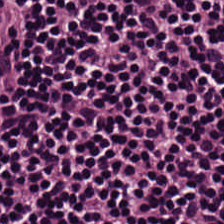Hematoxylin-and-eosin section: lymphocytes.
